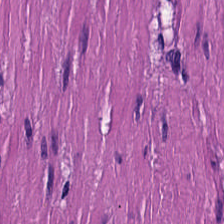H&E — smooth muscle.
